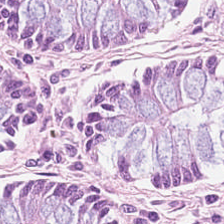Impression → normal colon mucosa.
